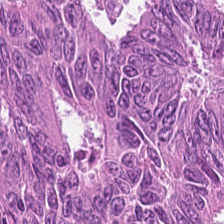Hematoxylin and eosin — Tissue = tumor epithelium.
